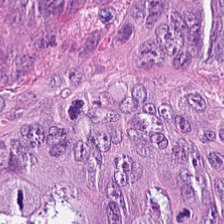Hematoxylin-and-eosin stained section — Q: What is shown here?
A: It is adenocarcinoma.
